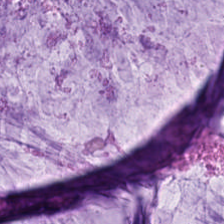H&E-stained tissue section — Extracellular mucin.
